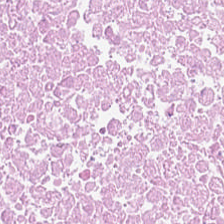Hematoxylin and eosin — Tissue class — cellular debris.
